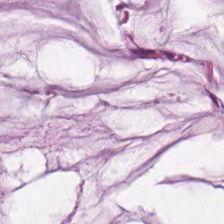Tissue = mucus.
